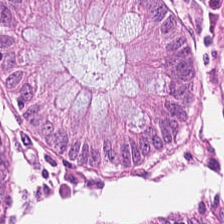This field is normal colonic mucosa.
